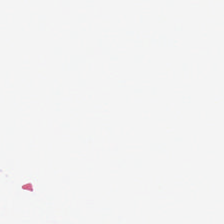The field content is background (no tissue).
